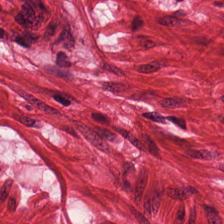The tissue class is smooth muscle.
